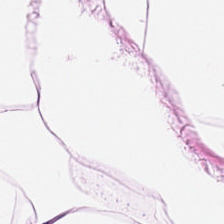H&E stain. 224×224 px patch.
Showing fat tissue.
